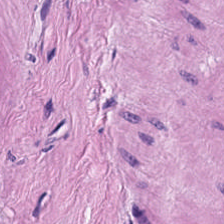Predominant tissue = smooth-muscle tissue.
